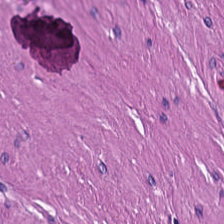Hematoxylin and eosin. This patch shows smooth muscle.
